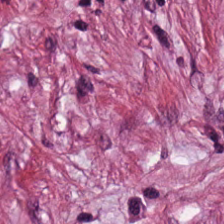H&E-stained tissue section.
Tumor stroma.
